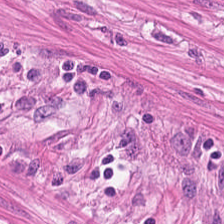H&E patch showing smooth-muscle tissue.
